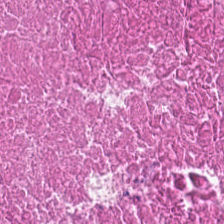Tissue: necrotic debris.
